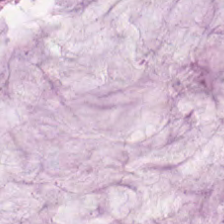Hematoxylin-and-eosin stained section · FFPE tissue section · 0.5 microns per pixel. Impression → extracellular mucin.
